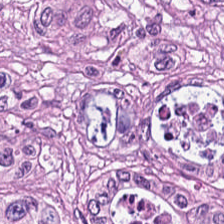H&E. Colorectal adenocarcinoma.
